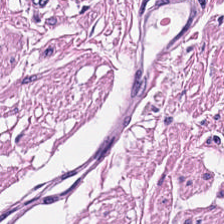H&E stain.
This field is smooth-muscle tissue.
